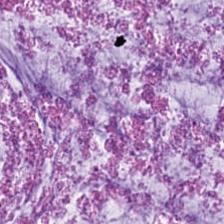H&E — mucin.
